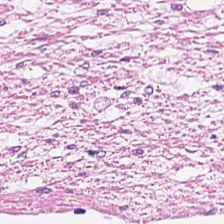Hematoxylin-and-eosin stained section. Tissue type — smooth-muscle tissue.
